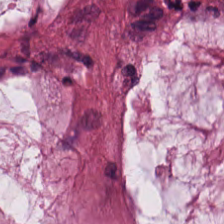Stain: hematoxylin and eosin.
Acquisition: whole-slide-image patch.
Classification: extracellular mucin.
